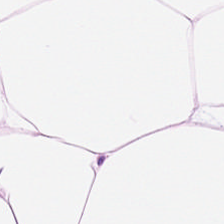Hematoxylin and eosin. FFPE.
Q: What tissue is shown?
A: It is adipocytes.
